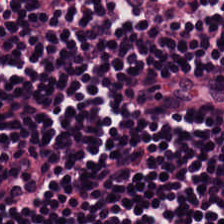Hematoxylin-and-eosin section: lymphocytic infiltrate.
